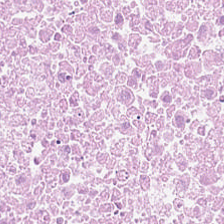H&E-stained tissue section.
Q: Identify the tissue.
A: Necrotic debris.
